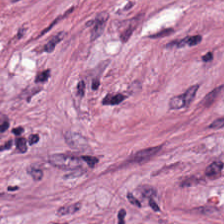Formalin-fixed paraffin-embedded section · H&E — Classification: tumor-associated stroma.
